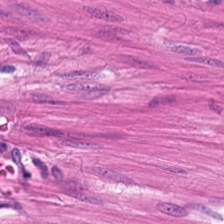0.5 µm/px · hematoxylin and eosin.
Predominant tissue = smooth-muscle tissue.
